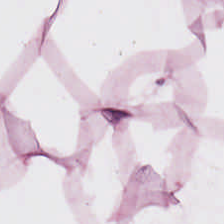FFPE; H&E. This field is fat tissue.
